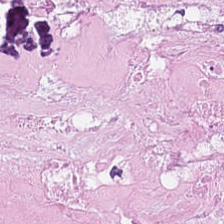Hematoxylin-and-eosin stained section — This patch shows necrotic debris.
